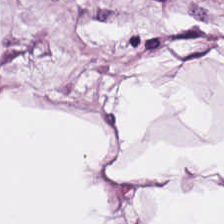Q: What type of tissue is this?
A: The field shows adipocytes.
